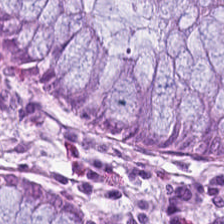H&E; brightfield — Histology — benign colonic mucosa.
